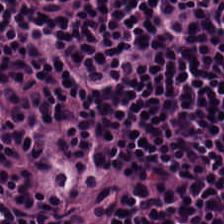20× equivalent magnification. H&E-stained tissue section. {"tissue_type": "lymphoid infiltrate"}
